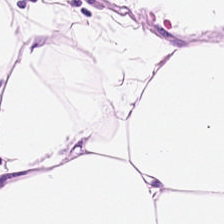Finding → adipose.
